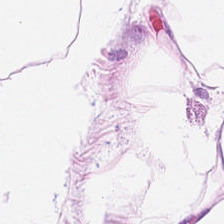{"tissue_type": "adipose"}
